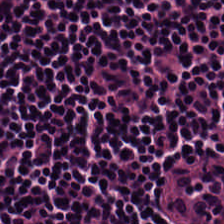FFPE tissue section. H&E-stained tissue section — Impression → lymphoid infiltrate.
